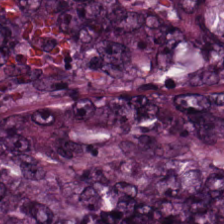H&E-stained tissue section · 0.5 microns per pixel — Tissue class = colorectal adenocarcinoma epithelium.
